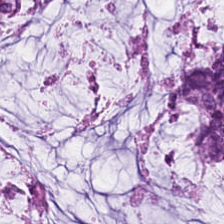H&E-stained tissue section showing mucus.
